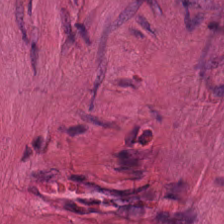H&E-stained tissue section.
Smooth muscle.
